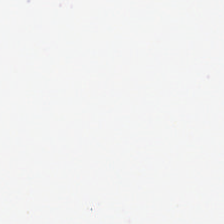{"content": "no tissue"}
